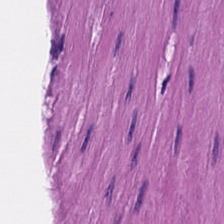0.5 µm/px. H&E stain.
Tissue — smooth muscle.
